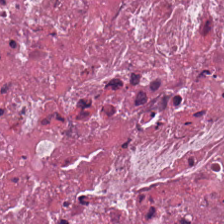Stain: H&E-stained tissue section.
Predominant tissue: debris.
